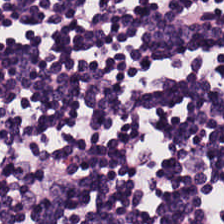H&E stain; 224×224 px patch; 20× equivalent magnification — Q: Identify the tissue.
A: It is lymphoid infiltrate.
